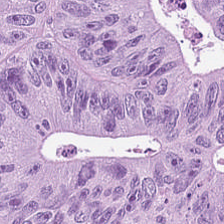Hematoxylin and eosin · 0.5 µm per pixel. The predominant tissue is malignant epithelium.
